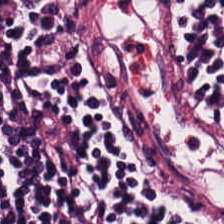H&E stain — Histology → lymphocytic infiltrate.
